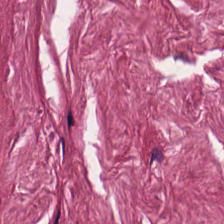H&E-stained tissue section. Tissue class: tumor stroma.
